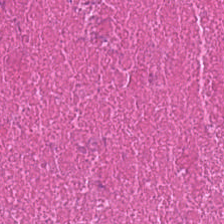H&E-stained tissue section. The tissue here is debris.
